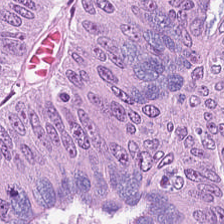H&E; 224×224 pixel tile. The tissue class is tumor epithelium.
